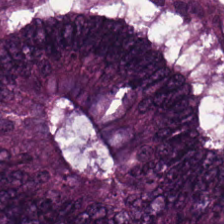Predominantly malignant epithelium.
